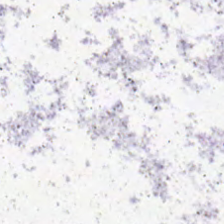Hematoxylin and eosin — Finding — background (no tissue).
